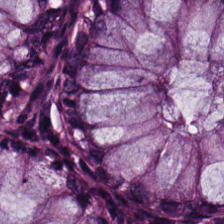Finding — benign colonic mucosa.
